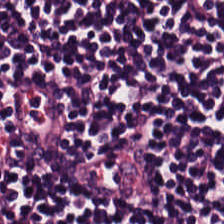H&E.
Histology — lymphocytes.
